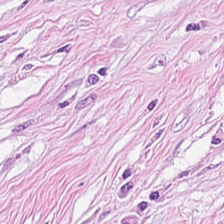Formalin-fixed paraffin-embedded section · H&E stain. Classification — cancer-associated stroma.
